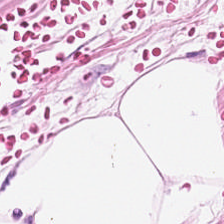Formalin-fixed paraffin-embedded section · hematoxylin and eosin · WSI patch. The tissue class is adipose.
